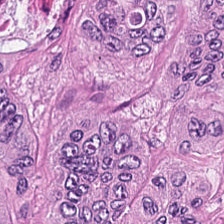Classification: colorectal adenocarcinoma epithelium.
